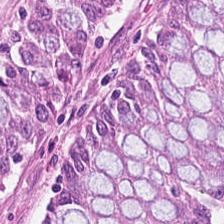Hematoxylin and eosin. Showing benign colonic mucosa.
